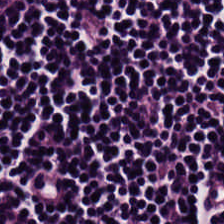H&E — Lymphocytes.
